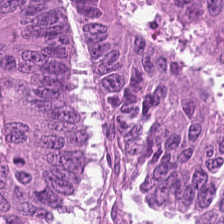20× equivalent magnification · FFPE tissue section · hematoxylin-and-eosin stained section. Impression — colorectal adenocarcinoma.
